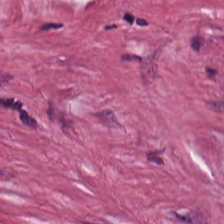Hematoxylin and eosin. WSI patch. 224×224 px patch — Tissue type = tumor-associated stroma.
